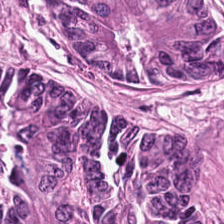Hematoxylin and eosin. Q: What tissue is shown?
A: The field shows malignant epithelium.
